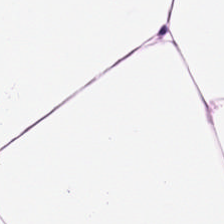H&E. This field is adipose tissue.
